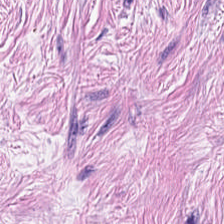Q: Identify the tissue.
A: Tumor-associated stroma.
